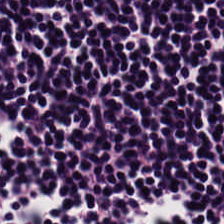H&E-stained tissue section; whole-slide-image patch; formalin-fixed paraffin-embedded section — Q: Identify the tissue.
A: Lymphocytic infiltrate.
